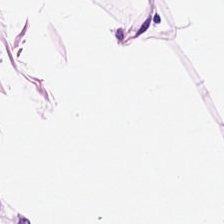H&E; 0.5 microns per pixel — Fat tissue.
